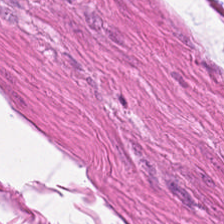Tissue class: muscularis.
